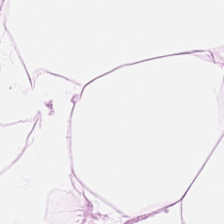H&E-stained section; the field shows adipose.
